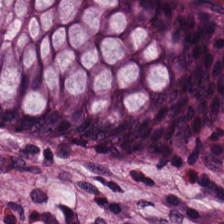Hematoxylin and eosin.
Q: What type of tissue is this?
A: The field shows normal colon mucosa.
